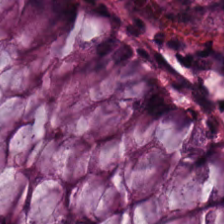H&E-stained tissue section · formalin-fixed paraffin-embedded section · 0.5 µm/px — Classification = non-neoplastic colon mucosa.
